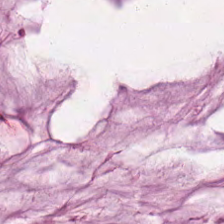Hematoxylin-and-eosin stained section — Predominantly mucin.
